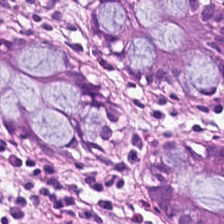H&E stain.
The tissue here is normal colonic mucosa.
